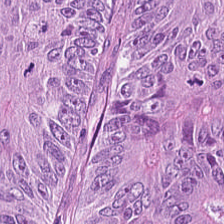H&E — malignant epithelium.
